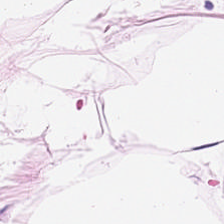Stain: H&E-stained tissue section.
Tile size: 224×224 px patch.
Tissue: fat tissue.
